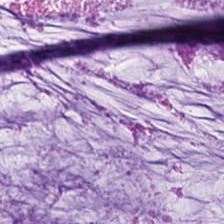H&E — Tissue — mucin.
